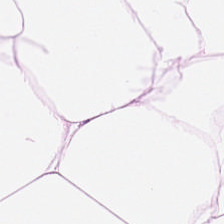WSI patch; H&E; 20× equivalent magnification. This field is adipocytes.
